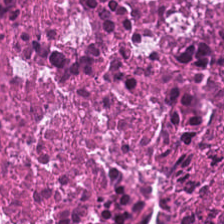Q: What is the predominant tissue type?
A: It is necrotic debris.
